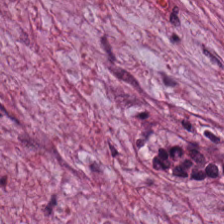H&E-stained tissue section — Tissue class = tumor-associated stroma.
